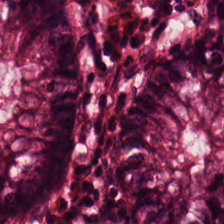H&E-stained tissue section — The predominant tissue is benign colonic mucosa.
